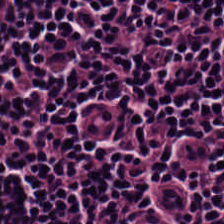Hematoxylin and eosin. Tissue class: lymphoid infiltrate.
